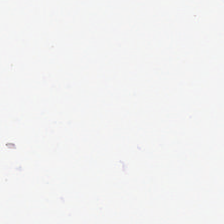H&E stain.
Classification — background.
